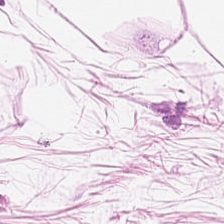H&E stain. 20× equivalent magnification — This field is adipose tissue.
